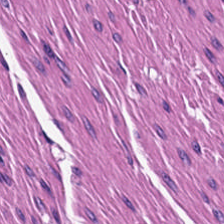Stain: hematoxylin-and-eosin stained section.
Tissue: muscularis.
